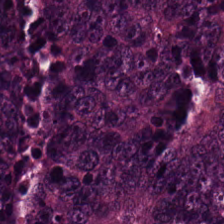H&E-stained tissue section.
Finding → adenocarcinoma.
